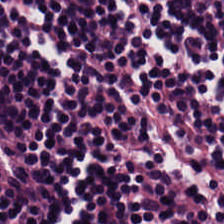Classification: lymphoid infiltrate.
